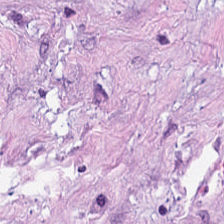H&E-stained tissue section. This patch shows tumor-associated stroma.
